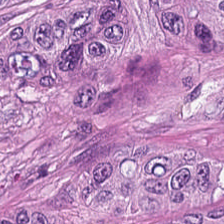224×224 pixel tile; H&E stain — Tissue: colorectal adenocarcinoma.
